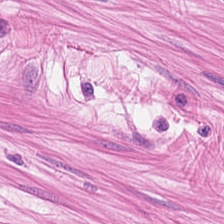Stain: hematoxylin and eosin.
Resolution: 0.5 µm per pixel.
Classification: smooth muscle.
